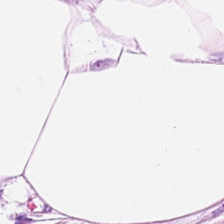H&E stain. 0.5 microns per pixel. 224×224 pixel tile — This patch shows fat tissue.
